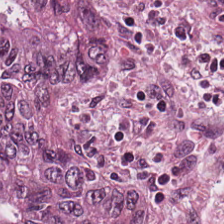20× equivalent magnification; H&E.
The tissue here is tumor epithelium.
